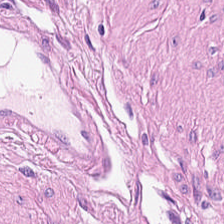Predominantly smooth-muscle tissue.
